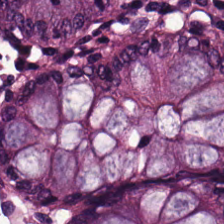H&E.
Showing benign colonic mucosa.
